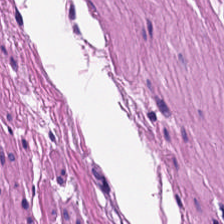Hematoxylin and eosin. 0.5 microns per pixel. FFPE.
This field is smooth muscle.
